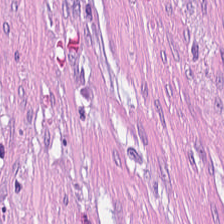Q: What type of tissue is this?
A: This is cancer-associated stroma.
